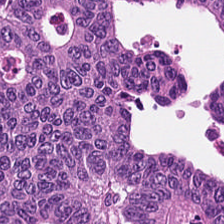H&E-stained tissue section. Classification — adenocarcinoma.
